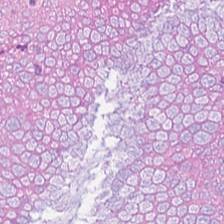Hematoxylin-and-eosin stained section · brightfield microscopy · 0.5 µm/px. Impression → malignant epithelium.
